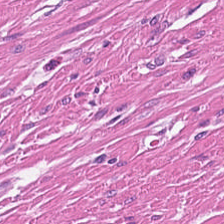H&E stain. Showing muscularis.
